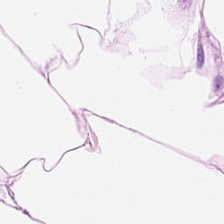H&E stain.
This field is adipose.
